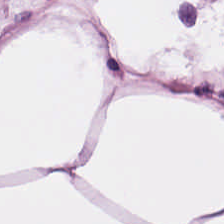Predominant tissue: adipocytes.
